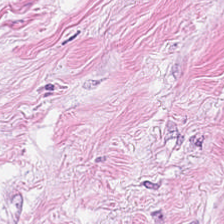Classification: cancer-associated stroma.
